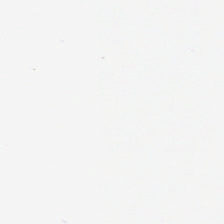Stain: H&E.
Classification: empty background.
